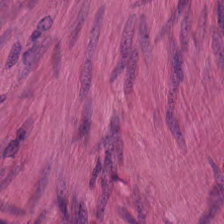H&E · 224×224 px tile. Showing muscularis.
